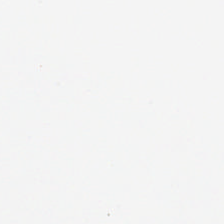H&E-stained tissue section · FFPE tissue section · 224×224 px patch.
Background — no tissue in this field.
